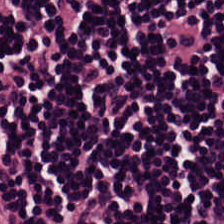Q: What does this patch show?
A: The field shows lymphoid infiltrate.
